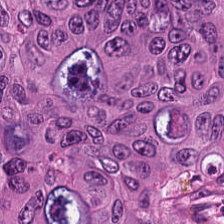Q: What tissue is shown?
A: The field shows tumor epithelium.
